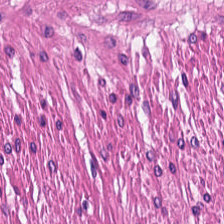FFPE. Brightfield. H&E stain. Q: What tissue is shown?
A: This is muscularis.
